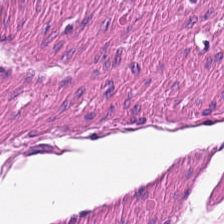H&E stain — Q: What is the predominant tissue type?
A: The field shows smooth muscle.
